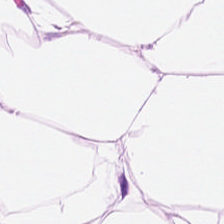This field is adipose.
